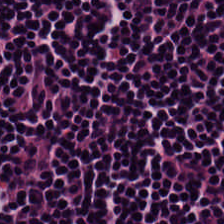Stain: H&E.
Classification: lymphocyte aggregate.
